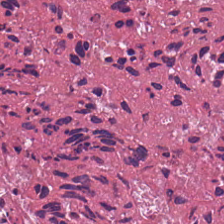{"tissue_type": "necrotic debris"}
